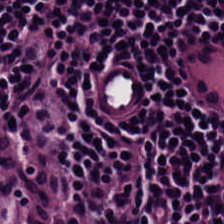Lymphocytic infiltrate.
